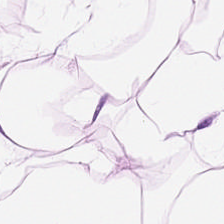Hematoxylin-and-eosin stained section — The tissue class is adipocytes.
